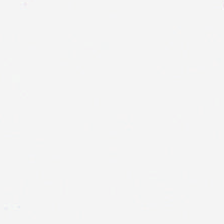0.5 µm per pixel. H&E — Empty field — empty background.
